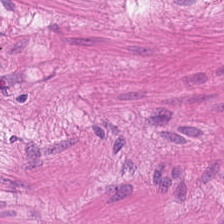Hematoxylin and eosin. The tissue class is muscularis.
